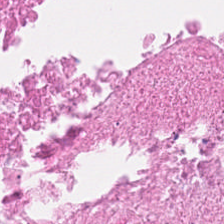224×224 pixel tile. FFPE tissue section. H&E stain. Impression — cellular debris.
